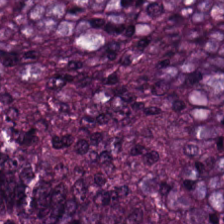Stain: H&E stain.
Preparation: formalin-fixed paraffin-embedded section.
Tile size: 224×224 px tile.
Tissue type: colorectal adenocarcinoma epithelium.
